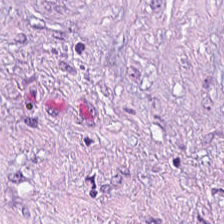H&E-stained tissue section — This patch shows tumor stroma.
